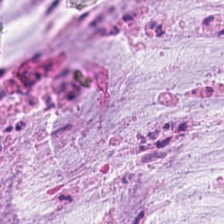Tissue type — extracellular mucin.
